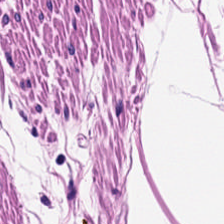H&E. This field is smooth muscle.
